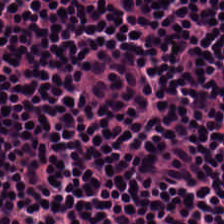224×224 px tile · hematoxylin-and-eosin stained section — Predominant tissue — lymphocytes.
